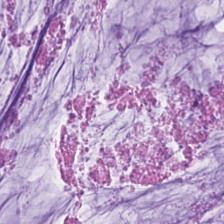H&E stain.
Predominantly mucin.
